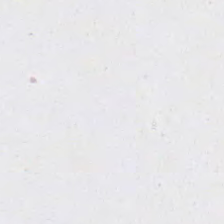H&E stain. 224×224 pixel tile.
Q: What is shown here?
A: It is empty background.
